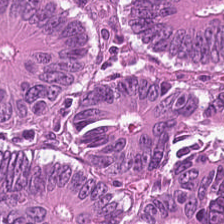H&E stain. Classification — adenocarcinoma.
